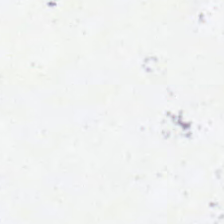H&E-stained tissue section. Classification = empty background.
